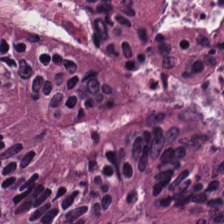224×224 px patch · H&E. Tissue type — colorectal adenocarcinoma epithelium.
